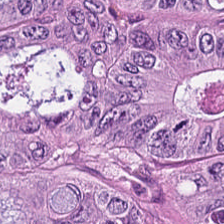Stain: hematoxylin-and-eosin stained section.
Classification: adenocarcinoma.
